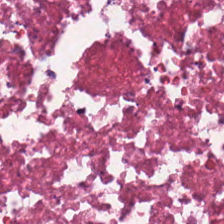Formalin-fixed paraffin-embedded section. Hematoxylin and eosin.
The tissue here is debris.
